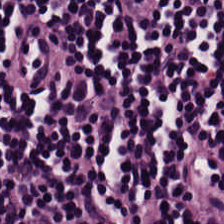H&E. The predominant tissue is lymphocyte aggregate.
